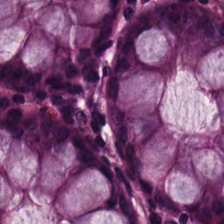H&E stain. The tissue here is normal colon mucosa.
